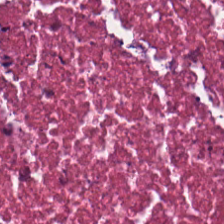This patch shows cellular debris.
